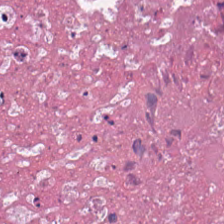H&E stain. 0.5 microns per pixel. The tissue here is debris.
